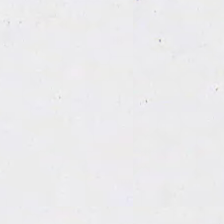Stain: H&E-stained tissue section.
Field content: background.
